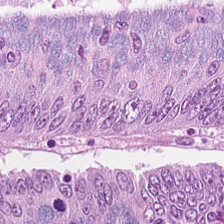WSI patch; H&E; 224×224 pixel tile.
Tissue type: adenocarcinoma.
